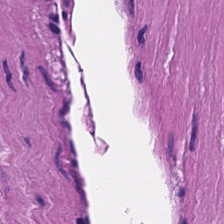Hematoxylin and eosin. Tissue class — muscularis.
